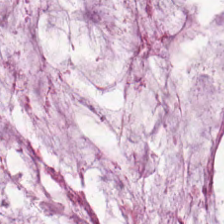This field is mucin.
